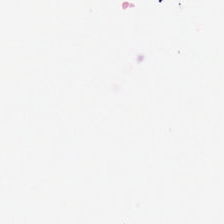0.5 µm/px · hematoxylin and eosin. No tissue.
